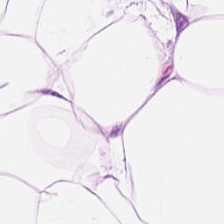FFPE · brightfield microscopy · hematoxylin-and-eosin stained section. Tissue class = adipose.
